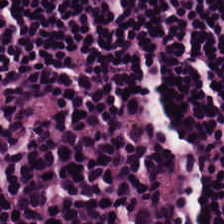H&E.
The tissue here is lymphoid infiltrate.
